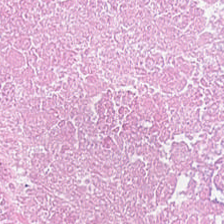Hematoxylin-and-eosin stained section. Q: What does this patch show?
A: The field shows cellular debris.
